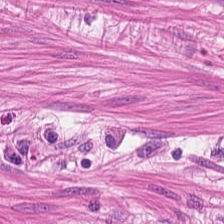Hematoxylin and eosin. Impression — muscularis.
